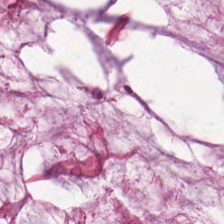H&E — Predominantly extracellular mucin.
